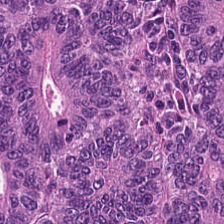Hematoxylin and eosin. The predominant tissue is malignant epithelium.
